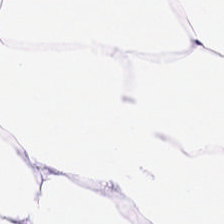224×224 pixel tile. 0.5 µm per pixel. H&E stain.
Q: What is shown here?
A: It is adipose.
